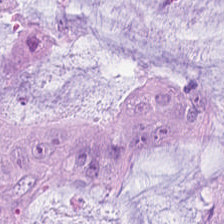H&E-stained tissue section — This patch shows mucus.
